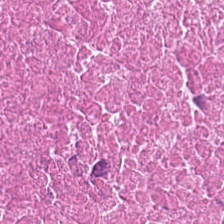224×224 pixel tile; hematoxylin-and-eosin stained section — Tissue = necrotic debris.
